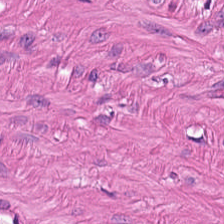H&E-stained tissue section. Muscularis.
